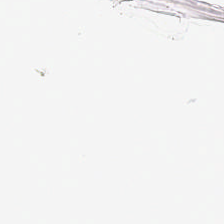Hematoxylin-and-eosin stained section.
No tissue present; background only.
